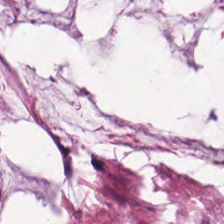Whole-slide-image patch. 0.5 µm per pixel. Hematoxylin-and-eosin stained section — Mucin.
